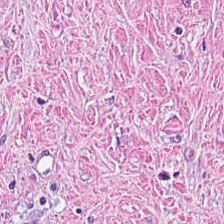Hematoxylin-and-eosin stained section. WSI patch. 0.5 microns per pixel.
Finding — tumor stroma.
